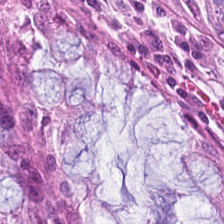H&E stain — The predominant tissue is normal colonic mucosa.
